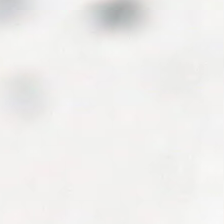H&E · 224×224 px patch · formalin-fixed paraffin-embedded section.
No tissue present; background only.
